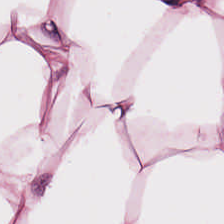Finding — adipose tissue.
